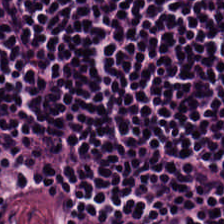0.5 µm/px · hematoxylin and eosin · brightfield — Q: What does this patch show?
A: The field shows lymphocytes.
